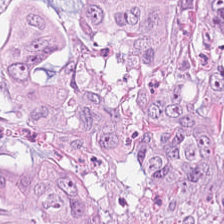0.5 µm per pixel; hematoxylin and eosin — Classification: malignant epithelium.
